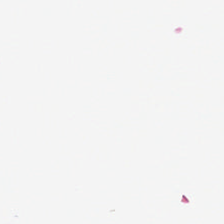Stain: H&E stain.
Tile size: 224×224 px patch.
Classification: background (no tissue).
